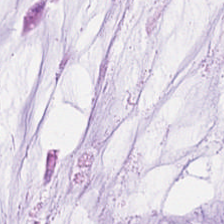H&E. Q: What is the predominant tissue type?
A: Mucus.
